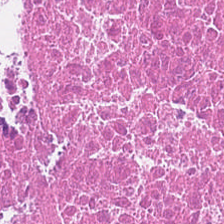H&E — This field is necrotic debris.
